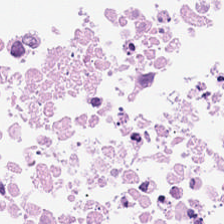FFPE · 0.5 microns per pixel · H&E-stained tissue section.
Q: Classify this patch.
A: This is necrotic debris.
